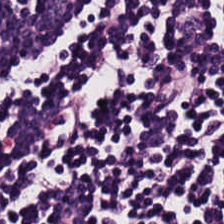H&E-stained tissue section.
The predominant tissue is lymphocyte aggregate.
